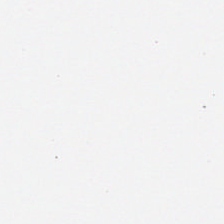Hematoxylin-and-eosin stained section.
{"content": "background"}
